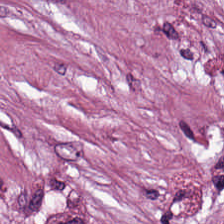H&E stain · formalin-fixed paraffin-embedded section — Q: What tissue is shown?
A: The field shows tumor stroma.
